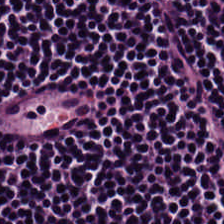Tissue type = lymphoid infiltrate.
